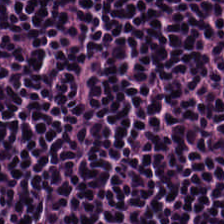H&E stain; WSI patch; FFPE. The predominant tissue is lymphoid infiltrate.
